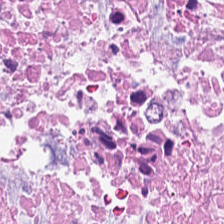Stain: H&E-stained tissue section.
Preparation: FFPE.
Tissue: necrotic debris.
